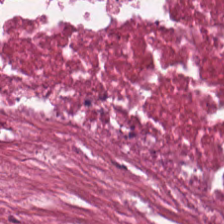224×224 px tile. FFPE. H&E stain. Showing necrotic debris.
